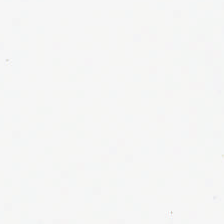Hematoxylin and eosin · FFPE tissue section · 0.5 µm/px.
This patch shows background.
